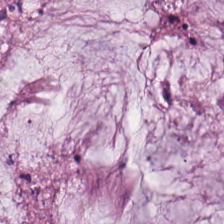Histology — mucin.
